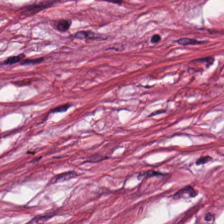Finding — tumor stroma.
